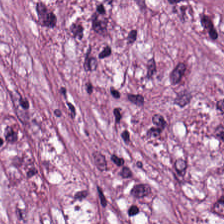0.5 µm per pixel · hematoxylin-and-eosin stained section · 224×224 px tile.
Tissue = desmoplastic stroma.
